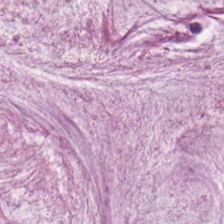H&E-stained tissue section — This field is mucin.
